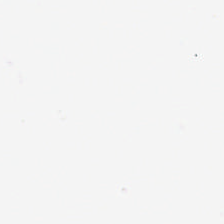Brightfield microscopy. H&E stain. The content is no tissue.
